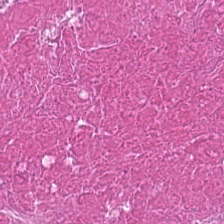H&E stain. Formalin-fixed paraffin-embedded section. {"tissue_type": "cellular debris"}
